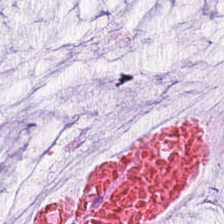H&E. The predominant tissue is mucin.
